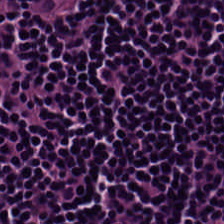H&E-stained tissue section. Lymphocytic infiltrate.
